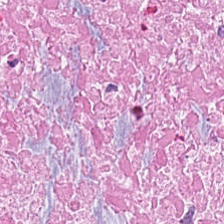Hematoxylin and eosin. This patch shows cellular debris.
